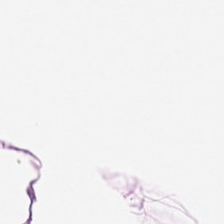Hematoxylin-and-eosin stained section; whole-slide-image patch; 0.5 microns per pixel — Showing adipose tissue.
